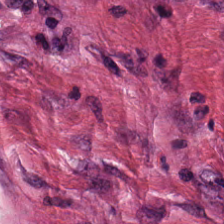{"tissue_type": "desmoplastic stroma"}
